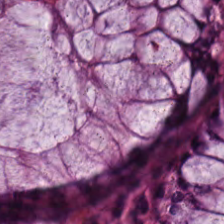WSI patch; hematoxylin-and-eosin stained section.
Q: What is shown here?
A: Normal colon mucosa.
